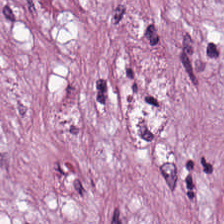WSI patch · 0.5 µm/px · hematoxylin-and-eosin stained section. Tissue class: desmoplastic stroma.
